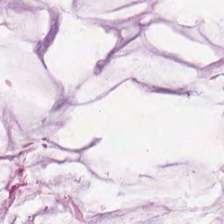Stain: hematoxylin and eosin.
Tissue class: mucin.
